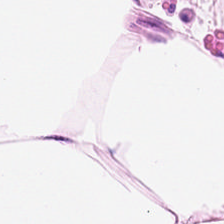H&E.
Histology → adipose.
